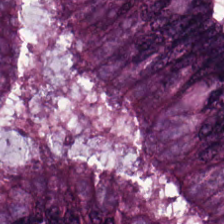H&E. 20× equivalent magnification — Impression — colorectal adenocarcinoma epithelium.
